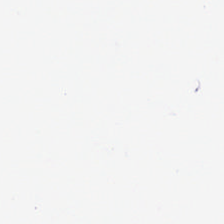H&E; brightfield. This patch shows no tissue.
